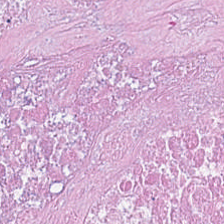H&E stain; formalin-fixed paraffin-embedded section — Showing debris.
